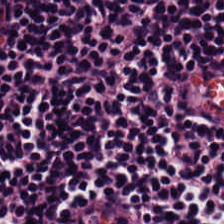Impression — lymphoid infiltrate.
